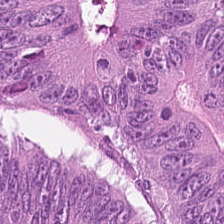FFPE; hematoxylin-and-eosin stained section; 20× equivalent magnification.
Tissue type = adenocarcinoma.
